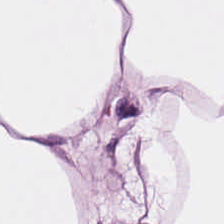Formalin-fixed paraffin-embedded section. Hematoxylin-and-eosin stained section. Tissue type — adipose tissue.
